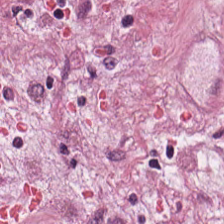H&E-stained tissue section — The tissue type is desmoplastic stroma.
